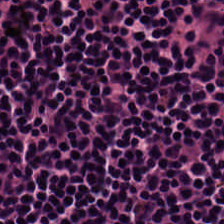0.5 µm/px. H&E — Q: What tissue is shown?
A: This is lymphocytic infiltrate.
